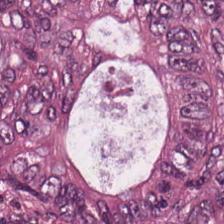Stain: H&E-stained tissue section.
Tissue type: colorectal adenocarcinoma epithelium.
